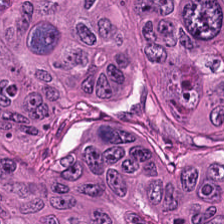Hematoxylin-and-eosin stained section — The tissue here is colorectal adenocarcinoma epithelium.
